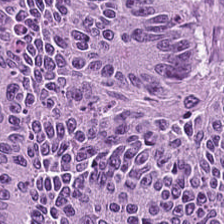Hematoxylin-and-eosin stained section; 0.5 µm per pixel. Tissue class = colorectal adenocarcinoma.
